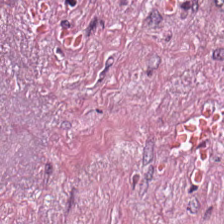H&E-stained tissue section.
Tumor-associated stroma.
